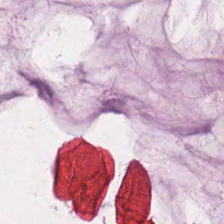Stain: H&E.
Tissue: mucin.
